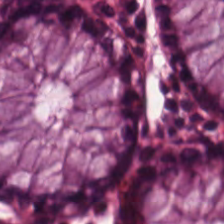Whole-slide-image patch · hematoxylin and eosin.
Showing benign colonic mucosa.
